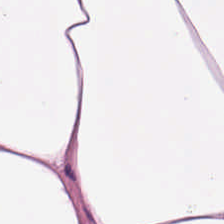Predominantly adipocytes.
